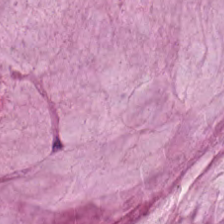Finding — extracellular mucin.
